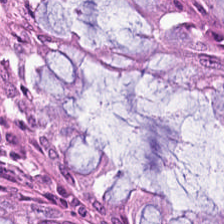Brightfield microscopy · hematoxylin and eosin.
Predominant tissue = non-neoplastic colon mucosa.
